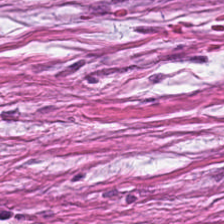The tissue class is tumor stroma.
